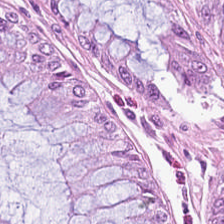FFPE; brightfield; H&E-stained tissue section. Q: What is shown in this field?
A: It is benign colonic mucosa.
